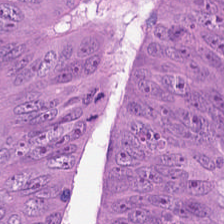The predominant tissue is adenocarcinoma.
